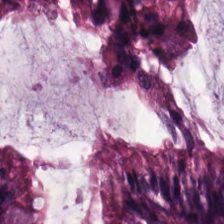Hematoxylin-and-eosin stained section. Normal colonic mucosa.
